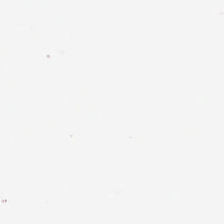FFPE; hematoxylin-and-eosin stained section — Empty background.
